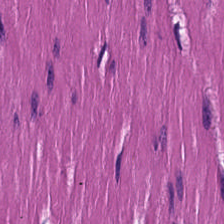Hematoxylin-and-eosin stained section. Impression → muscularis.
